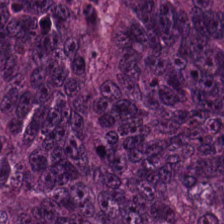H&E-stained tissue section; FFPE tissue section — Predominantly malignant epithelium.
